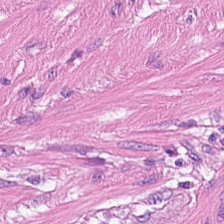H&E-stained tissue section. This patch shows muscularis.
